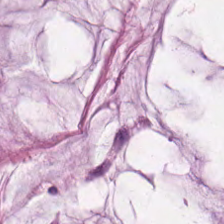20× equivalent magnification · formalin-fixed paraffin-embedded section · H&E-stained tissue section. The predominant tissue is mucus.
